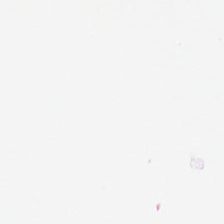H&E.
No tissue present; background only.
